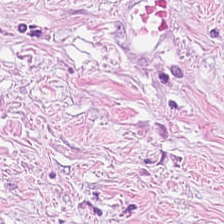Whole-slide-image patch. Formalin-fixed paraffin-embedded section. Hematoxylin and eosin. Q: What does this patch show?
A: Desmoplastic stroma.
